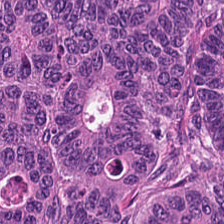H&E stain · brightfield. {"tissue_type": "colorectal adenocarcinoma"}
